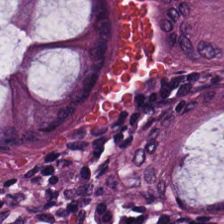FFPE tissue section; hematoxylin-and-eosin stained section.
This patch shows normal colon mucosa.
